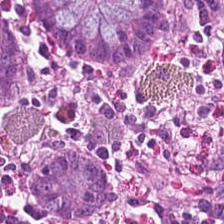H&E-stained tissue section.
Finding → non-neoplastic colon mucosa.
